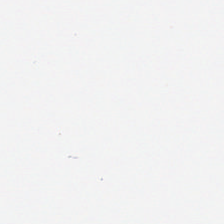H&E-stained tissue section — {"content": "no tissue"}
